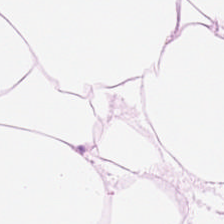FFPE tissue section · hematoxylin and eosin · 224×224 px tile. This field is fat tissue.
